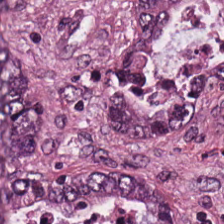Hematoxylin and eosin. WSI patch.
This patch shows tumor epithelium.
